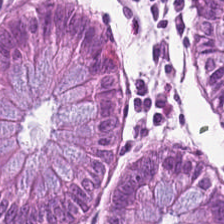Hematoxylin and eosin; brightfield microscopy — Impression — normal colonic mucosa.
